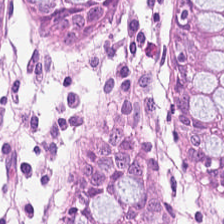Hematoxylin-and-eosin stained section; 20× equivalent magnification.
This field is non-neoplastic colon mucosa.
